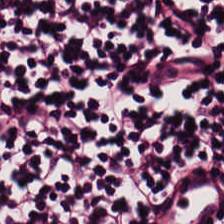Brightfield; H&E-stained tissue section.
The predominant tissue is lymphocyte aggregate.
